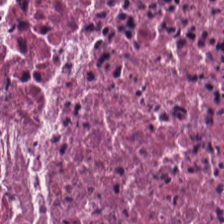224×224 pixel tile; hematoxylin and eosin — This field is debris.
